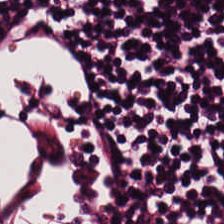H&E stain — Showing lymphocytes.
